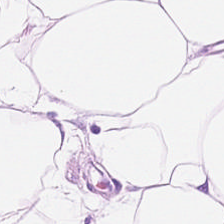Hematoxylin-and-eosin stained section.
Fat tissue.
